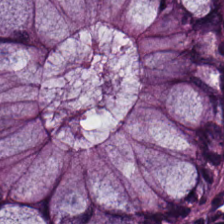Tissue type — benign colonic mucosa.
